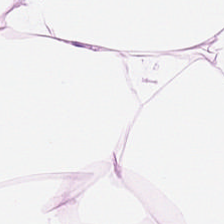H&E. {"tissue_type": "adipose tissue"}
